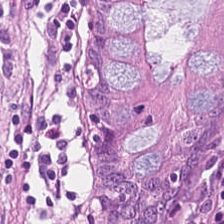H&E stain.
Tissue class — normal colonic mucosa.
